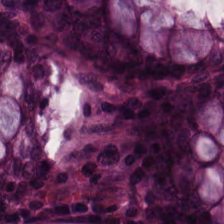Normal colon mucosa.
